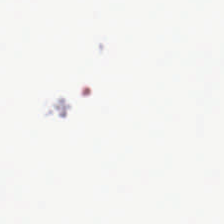Field content — background (no tissue).
